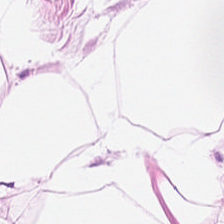Classification: adipose.
